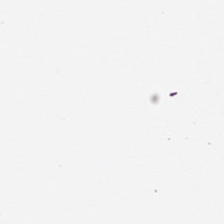20× equivalent magnification · H&E-stained tissue section. Q: What is shown here?
A: Background (no tissue).
